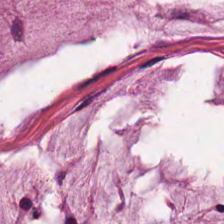0.5 microns per pixel. Hematoxylin and eosin. Finding — mucus.
